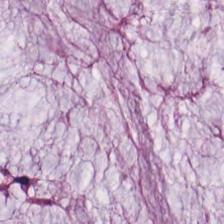Hematoxylin and eosin · 0.5 µm/px · brightfield.
This field is mucus.
